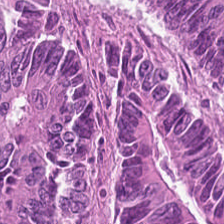0.5 µm/px · H&E-stained tissue section. Classification = colorectal adenocarcinoma epithelium.
